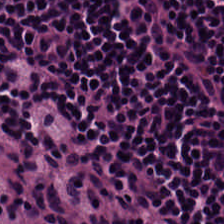Hematoxylin-and-eosin stained section. WSI patch. 0.5 µm/px. Q: Identify the tissue.
A: The field shows lymphocyte aggregate.
